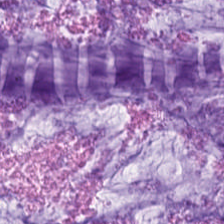H&E stain. {"tissue_type": "mucin"}
